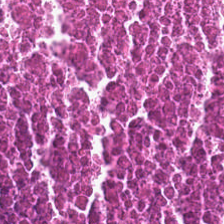H&E stain.
The tissue here is necrotic debris.
